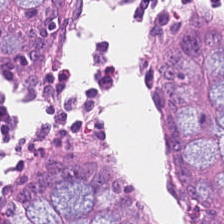H&E stain.
Classification — normal colon mucosa.
